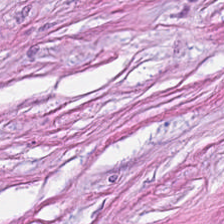Whole-slide-image patch; H&E; 20× equivalent magnification. Tissue — tumor stroma.
